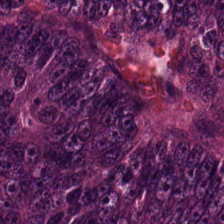Q: Classify this patch.
A: The field shows colorectal adenocarcinoma epithelium.
